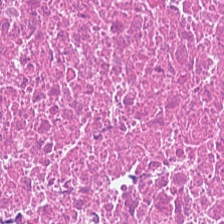H&E-stained tissue section.
Tissue type = debris.
